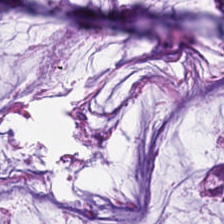H&E stain — The tissue type is mucin.
